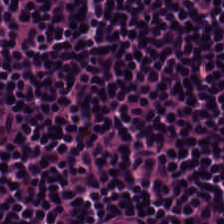Stain: hematoxylin and eosin.
Classification: lymphocyte aggregate.
